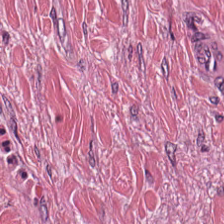H&E stain. Formalin-fixed paraffin-embedded section — Predominant tissue = tumor-associated stroma.
